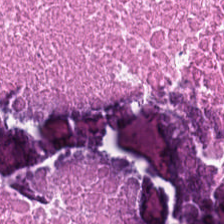Hematoxylin and eosin.
Impression → debris.
